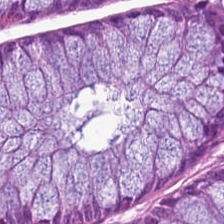H&E-stained tissue section — Classification: benign colonic mucosa.
